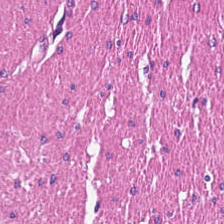H&E.
Tissue type — smooth muscle.
